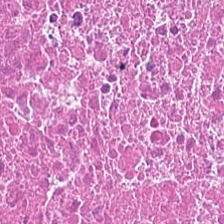Hematoxylin and eosin · 224×224 px patch · 0.5 µm per pixel. Tissue type: cellular debris.
